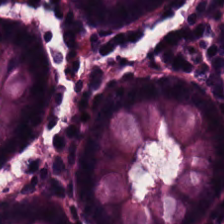H&E-stained tissue section. Predominantly normal colonic mucosa.
